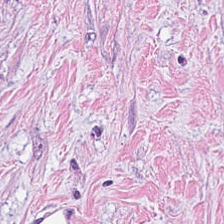H&E-stained tissue section. This patch shows cancer-associated stroma.
